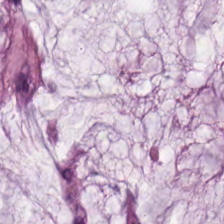H&E stain.
Predominantly mucus.
